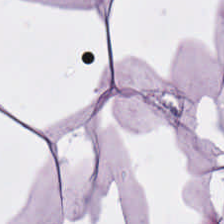H&E-stained tissue section.
Predominantly adipose tissue.
